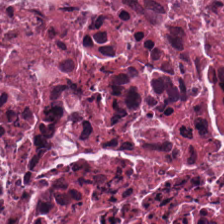Finding → debris.
